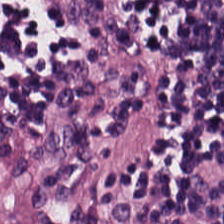Hematoxylin and eosin. 0.5 µm per pixel. Formalin-fixed paraffin-embedded section.
Predominantly lymphocytes.
